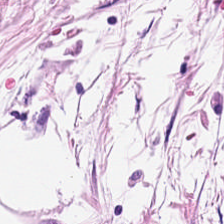FFPE tissue section. H&E-stained tissue section.
{"tissue_type": "adipose"}
